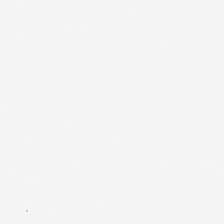Stain: H&E stain.
Acquisition: brightfield.
Classification: background (no tissue).
